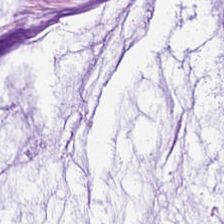0.5 microns per pixel; hematoxylin-and-eosin stained section. Finding — mucin.
